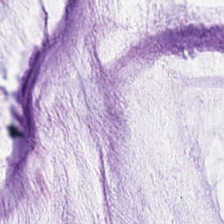Tissue = mucin.
